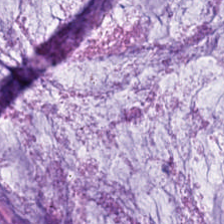Hematoxylin and eosin; 20× equivalent magnification.
The predominant tissue is extracellular mucin.
